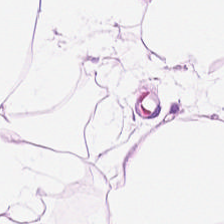FFPE tissue section. 20× equivalent magnification. H&E stain. The tissue here is adipose.
